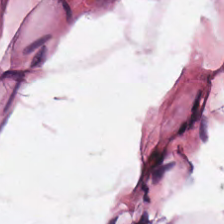H&E-stained tissue section.
Tissue type — adipocytes.
